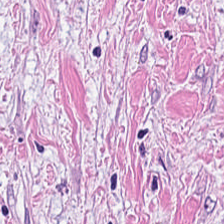H&E stain.
Predominant tissue = cancer-associated stroma.
